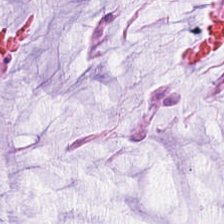0.5 µm per pixel · H&E stain · brightfield.
This patch shows mucus.
